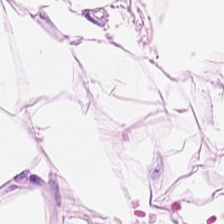H&E — adipose tissue.
